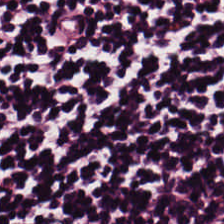H&E. Brightfield.
Q: What is shown in this field?
A: This is lymphocyte aggregate.
